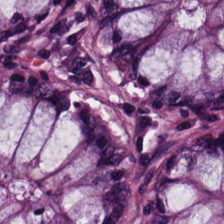H&E stain.
Showing benign colonic mucosa.
